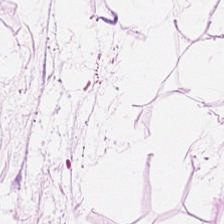224×224 px patch · FFPE · H&E — Tissue class: adipocytes.
